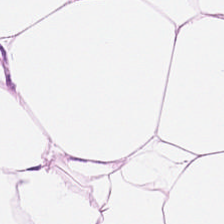H&E stain.
Tissue — fat tissue.
